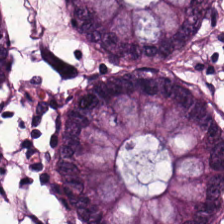H&E-stained tissue section.
Q: Identify the tissue.
A: It is normal colon mucosa.
